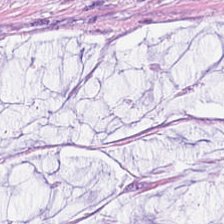20× equivalent magnification. H&E stain.
Tissue class = extracellular mucin.
